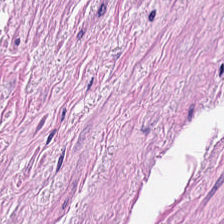Hematoxylin-and-eosin stained section. Q: What is the predominant tissue type?
A: It is smooth muscle.
